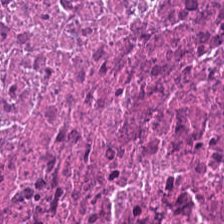Hematoxylin and eosin — Predominantly cellular debris.
